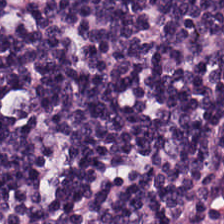H&E — Predominant tissue: lymphoid infiltrate.
